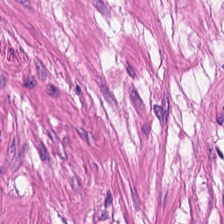Hematoxylin and eosin. Muscularis.
